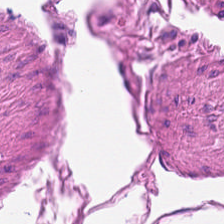Smooth-muscle tissue.
